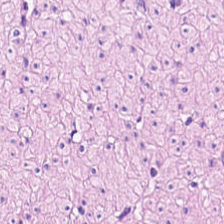0.5 µm/px; hematoxylin and eosin. Tissue class: muscularis.
